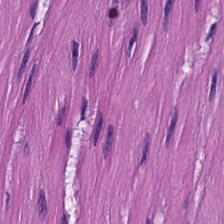Hematoxylin-and-eosin stained section. Tissue type — smooth muscle.
